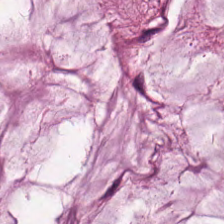Hematoxylin and eosin · 0.5 µm/px.
This field is mucin.
